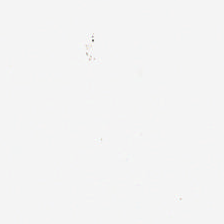H&E-stained tissue section.
Background — no tissue in this field.
